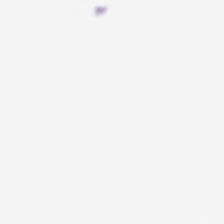0.5 µm/px. H&E-stained tissue section — Q: What does this patch show?
A: The field shows background.
